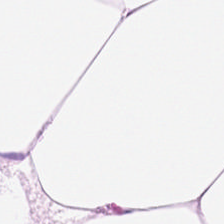Finding — adipocytes.
